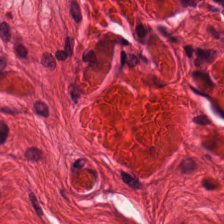H&E stain.
Histology → muscularis.
